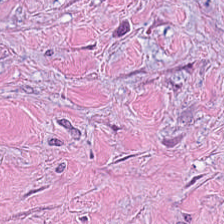H&E-stained tissue section; 0.5 µm per pixel. Showing tumor-associated stroma.
